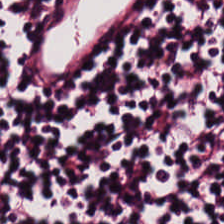Predominantly lymphocytic infiltrate.
